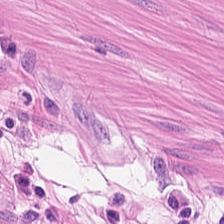Hematoxylin and eosin. Q: What is the predominant tissue type?
A: The field shows smooth-muscle tissue.
